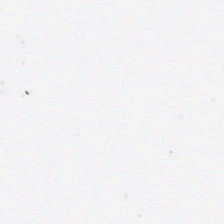Hematoxylin-and-eosin stained section; 0.5 µm/px — Background — no tissue in this field.
